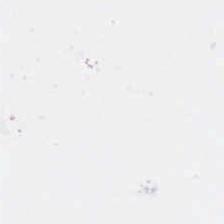H&E-stained tissue section — This patch shows no tissue.
